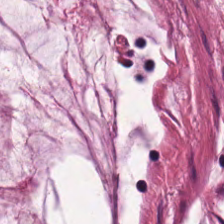H&E-stained tissue section.
This patch shows extracellular mucin.
